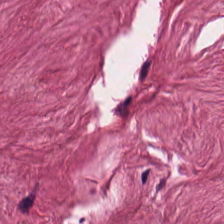Classification: tumor-associated stroma.
